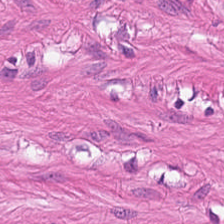H&E-stained tissue section. Q: Classify this patch.
A: The field shows smooth muscle.
